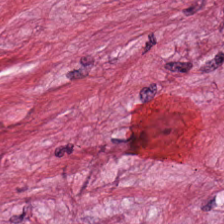H&E stain — The predominant tissue is desmoplastic stroma.
